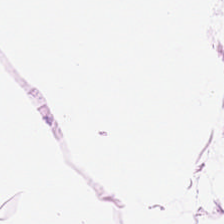FFPE tissue section · 20× equivalent magnification · H&E stain.
The predominant tissue is adipocytes.
